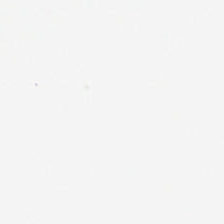Brightfield; H&E-stained tissue section. Histology → no tissue.
